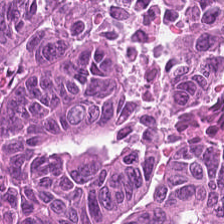Q: What is shown here?
A: The field shows colorectal adenocarcinoma epithelium.
